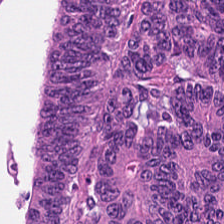20× equivalent magnification; H&E-stained tissue section — This patch shows tumor epithelium.
